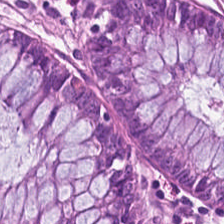This field is normal colon mucosa.
